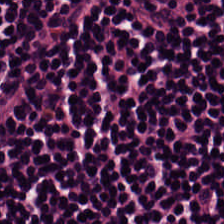Q: What tissue type is shown here?
A: The field shows lymphocyte aggregate.
